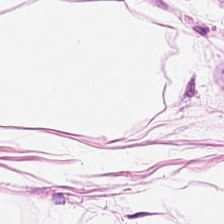H&E — The tissue is adipose.
